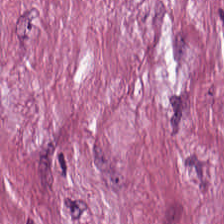Stain: H&E stain.
Tissue type: desmoplastic stroma.
